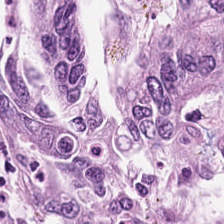Q: What is shown here?
A: Malignant epithelium.
